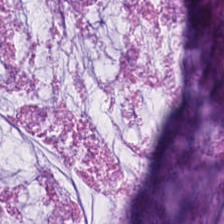H&E — mucus.
